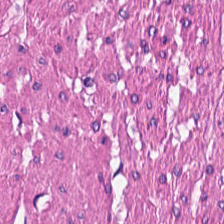Stain: H&E.
Resolution: 20× equivalent magnification.
Tile size: 224×224 px tile.
Tissue: smooth muscle.
